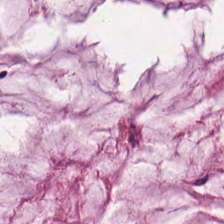Hematoxylin and eosin. Q: What type of tissue is this?
A: Mucin.
